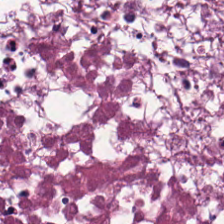Hematoxylin-and-eosin stained section. FFPE. Brightfield microscopy — The predominant tissue is cellular debris.
